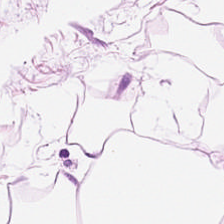Hematoxylin-and-eosin stained section — Fat tissue.
